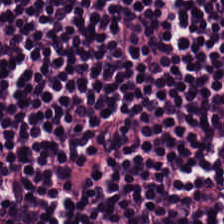Lymphoid infiltrate.
